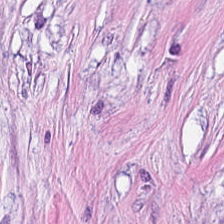H&E stain — The tissue class is tumor-associated stroma.
